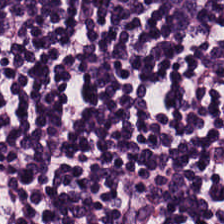H&E stain — The tissue here is lymphocyte aggregate.
